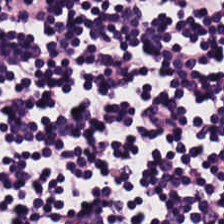Hematoxylin and eosin · brightfield microscopy — Q: What tissue is shown?
A: This is lymphoid infiltrate.
